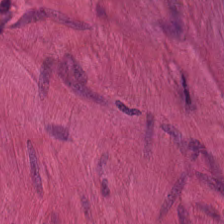224×224 px patch; H&E-stained tissue section — Showing smooth muscle.
